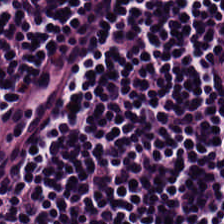Hematoxylin-and-eosin stained section. This field is lymphoid infiltrate.
